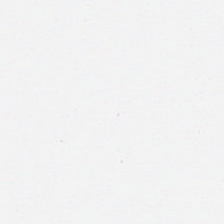Formalin-fixed paraffin-embedded section; H&E. This field is background (no tissue).
